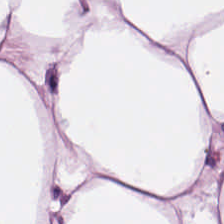H&E stain. Brightfield. 224×224 pixel tile. Q: What tissue is shown?
A: This is adipocytes.
